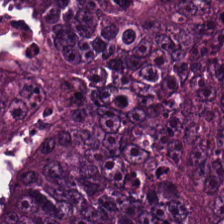H&E-stained tissue section — Finding — malignant epithelium.
